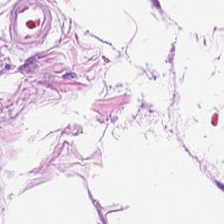Hematoxylin-and-eosin stained section · 0.5 µm per pixel. The tissue here is adipocytes.
